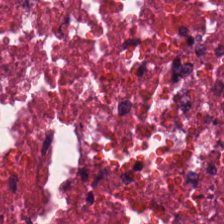H&E. Tissue type: cellular debris.
